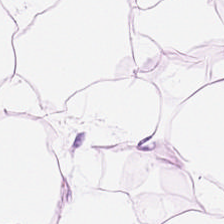Stain: H&E-stained tissue section.
Tissue class: fat tissue.
